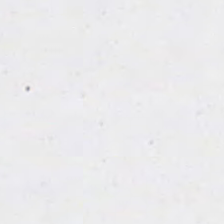H&E-stained tissue section — Impression — background (no tissue).
